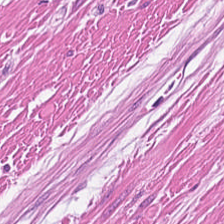Stain: hematoxylin and eosin.
Classification: smooth-muscle tissue.
